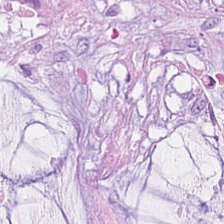H&E — Impression — mucus.
